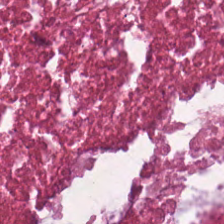Stain: H&E-stained tissue section.
Tissue: cellular debris.
